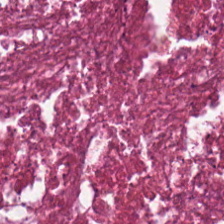Whole-slide-image patch · formalin-fixed paraffin-embedded section · H&E stain. Q: What tissue type is shown here?
A: Cellular debris.
